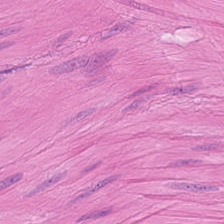Hematoxylin-and-eosin stained section — Tissue class — muscularis.
